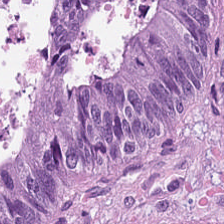224×224 pixel tile. H&E. Formalin-fixed paraffin-embedded section. The tissue here is colorectal adenocarcinoma.
